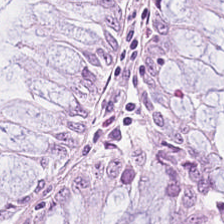FFPE tissue section; hematoxylin-and-eosin stained section.
{"tissue_type": "normal colon mucosa"}
